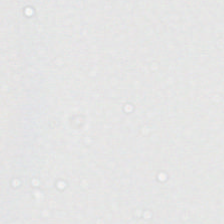Hematoxylin-and-eosin stained section. 0.5 µm/px. FFPE. Finding → background.
